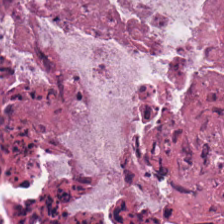H&E-stained tissue section.
The tissue class is debris.
